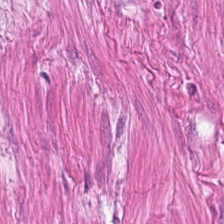224×224 pixel tile; hematoxylin-and-eosin stained section.
Smooth-muscle tissue.
